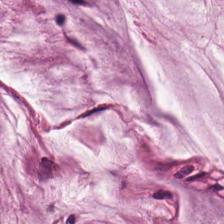Hematoxylin-and-eosin stained section — Predominantly mucin.
